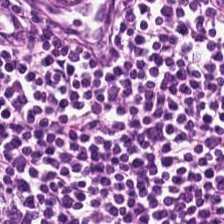0.5 µm/px. H&E stain.
{"tissue_type": "lymphoid infiltrate"}
